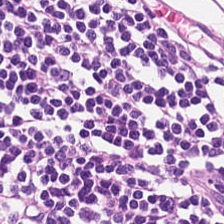H&E stain. Q: Classify this patch.
A: Lymphocytes.
